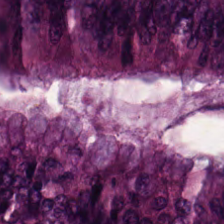This field is tumor epithelium.
